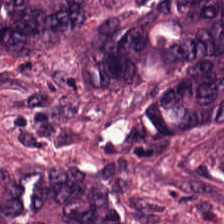Stain: H&E stain.
Tissue class: malignant epithelium.
